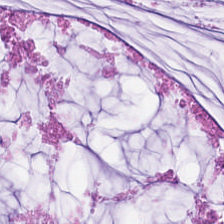H&E-stained tissue section.
This field is mucus.
